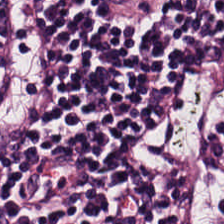H&E stain — Tissue class = lymphocyte aggregate.
